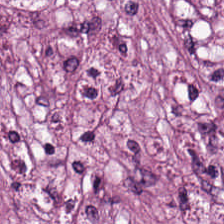224×224 pixel tile. H&E-stained tissue section — Showing cancer-associated stroma.
